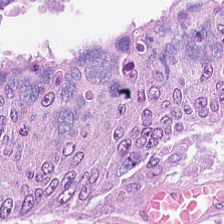H&E.
{"tissue_type": "adenocarcinoma"}
